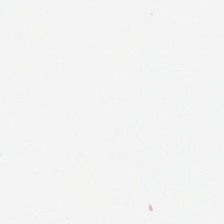Hematoxylin and eosin · 0.5 µm per pixel.
This field is background (no tissue).
